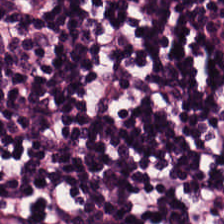Hematoxylin and eosin. {"tissue_type": "lymphocytes"}
